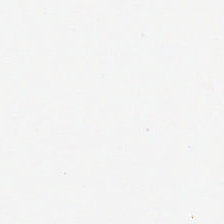Q: Classify this patch.
A: It is empty background.
